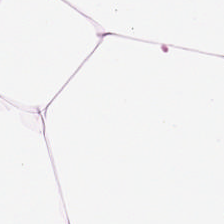224×224 px tile; H&E.
Adipose tissue.
